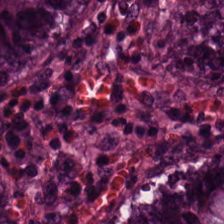H&E stain; 224×224 pixel tile.
Q: What tissue is shown?
A: This is benign colonic mucosa.
